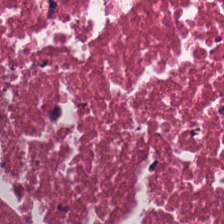FFPE tissue section · hematoxylin-and-eosin stained section. Finding — cellular debris.
